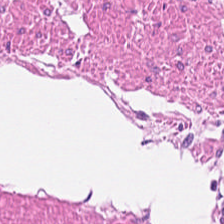H&E-stained tissue section.
Predominantly smooth muscle.
